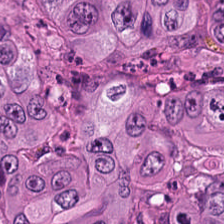This patch shows colorectal adenocarcinoma.
